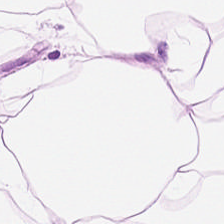0.5 microns per pixel · hematoxylin and eosin · 224×224 px patch.
This patch shows adipose tissue.
